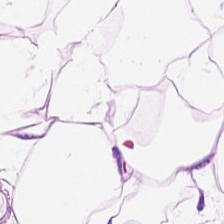H&E stain — Predominant tissue: adipocytes.
